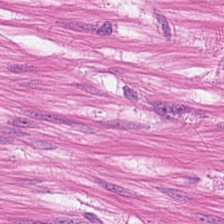Hematoxylin and eosin.
Impression → smooth-muscle tissue.
